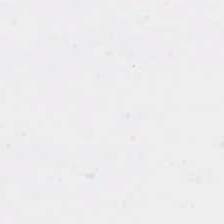H&E stain. Empty field — background.
